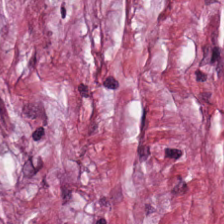This field is tumor-associated stroma.
